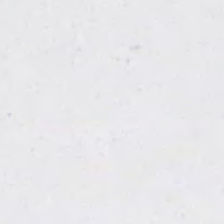H&E-stained tissue section. Whole-slide-image patch. Content = no tissue.
